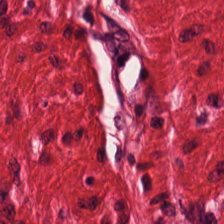224×224 pixel tile; H&E-stained tissue section — Smooth-muscle tissue.
